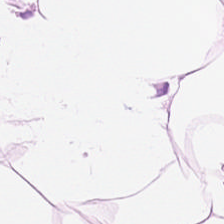Hematoxylin and eosin. 224×224 px tile. Formalin-fixed paraffin-embedded section — Showing fat tissue.
